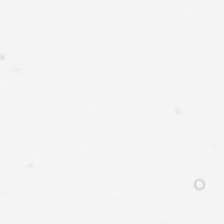0.5 microns per pixel · hematoxylin-and-eosin stained section.
Background — no tissue in this field.
